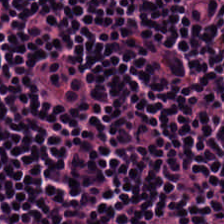FFPE tissue section; WSI patch; H&E stain.
Predominantly lymphoid infiltrate.
